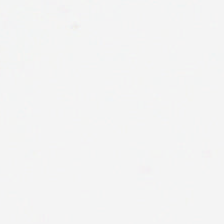H&E-stained tissue section.
Field content = background (no tissue).
